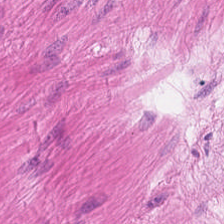Whole-slide-image patch. Hematoxylin-and-eosin stained section.
Q: Identify the tissue.
A: This is smooth muscle.
